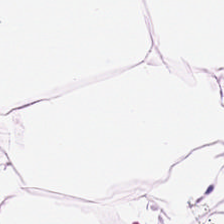224×224 pixel tile · H&E stain · WSI patch. Classification: adipose.
